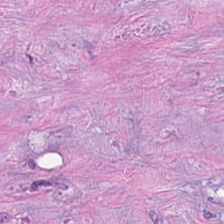Histology — cancer-associated stroma.
